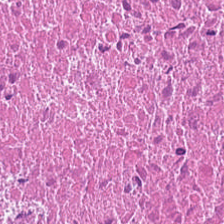Hematoxylin-and-eosin stained section.
The classification is debris.
